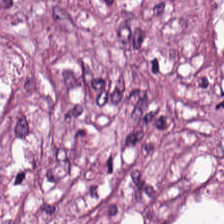Hematoxylin and eosin. Predominantly desmoplastic stroma.
